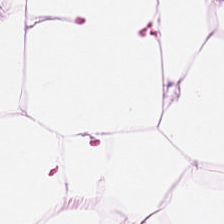Stain: H&E-stained tissue section.
Tissue type: adipocytes.
